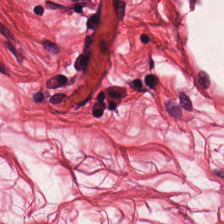H&E.
Histology → smooth muscle.
